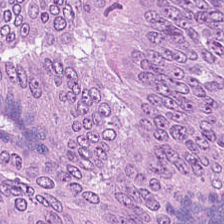Hematoxylin-and-eosin stained section. Predominantly colorectal adenocarcinoma epithelium.
